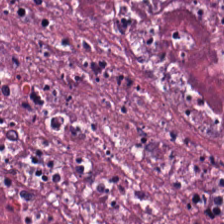FFPE · H&E stain. Tissue type — cellular debris.
